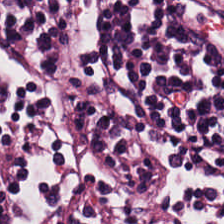224×224 px patch · H&E stain · whole-slide-image patch. {"tissue_type": "lymphocytic infiltrate"}
